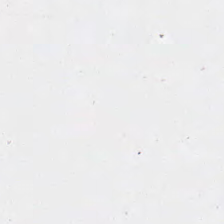0.5 µm per pixel. FFPE. Hematoxylin-and-eosin stained section — This patch shows no tissue.
